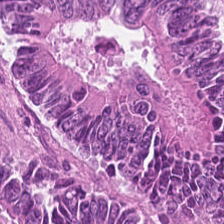Hematoxylin-and-eosin stained section. Q: Identify the tissue.
A: The field shows malignant epithelium.
